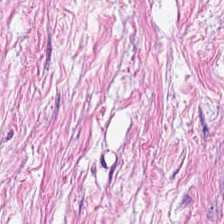Stain: H&E-stained tissue section.
Tissue type: tumor-associated stroma.
